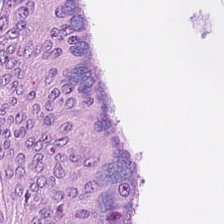H&E-stained tissue section.
This field is colorectal adenocarcinoma.
